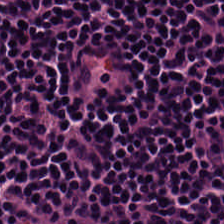Stain: H&E-stained tissue section.
Tissue class: lymphoid infiltrate.
